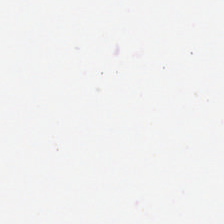Classification: no tissue.
